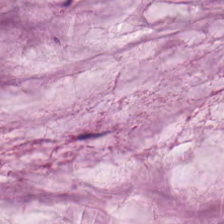Tissue type — mucus.
